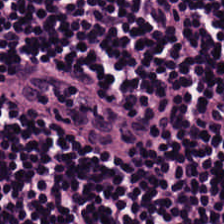Hematoxylin-and-eosin stained section · 224×224 px tile · formalin-fixed paraffin-embedded section.
Q: What is the predominant tissue type?
A: This is lymphocytes.
